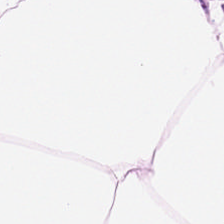H&E — fat tissue.
